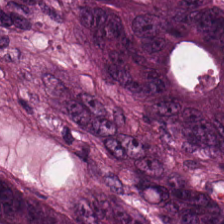H&E stain — Predominant tissue — adenocarcinoma.
